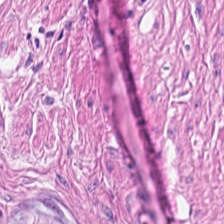H&E stain. Whole-slide-image patch. 224×224 pixel tile.
The predominant tissue is muscularis.
